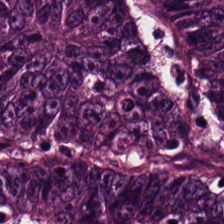Q: What does this patch show?
A: It is tumor epithelium.
